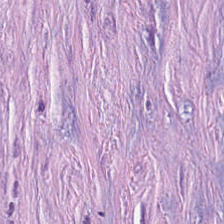H&E stain; FFPE. Finding → tumor stroma.
